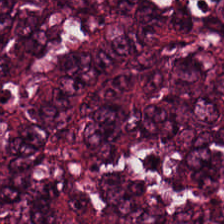H&E stain; 0.5 µm/px — Showing adenocarcinoma.
